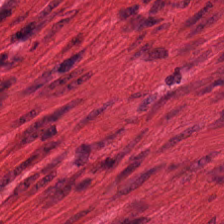H&E-stained tissue section · 20× equivalent magnification — Finding → smooth-muscle tissue.
